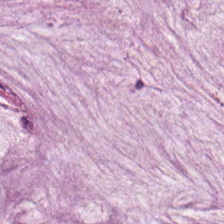Tissue type — mucus.
